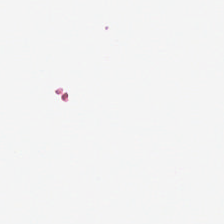Stain: H&E-stained tissue section.
Preparation: FFPE.
Classification: background (no tissue).
